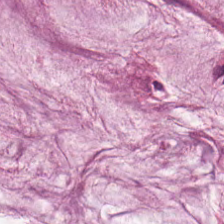H&E stain — Showing mucin.
